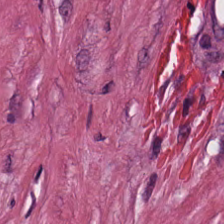{"tissue_type": "tumor stroma"}
